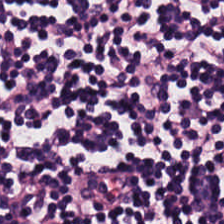H&E. The tissue here is lymphocyte aggregate.
